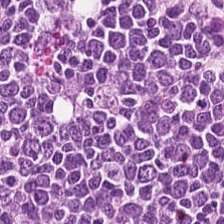Whole-slide-image patch; H&E; 0.5 µm per pixel. The tissue here is lymphocyte aggregate.
